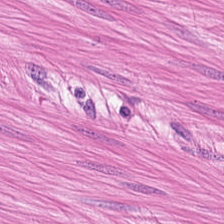Hematoxylin-and-eosin section: smooth-muscle tissue.
